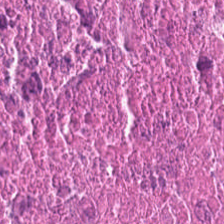Hematoxylin and eosin; 0.5 microns per pixel — Classification = necrotic debris.
